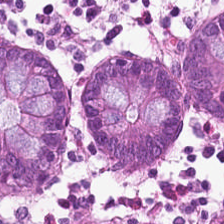Brightfield microscopy; H&E stain; FFPE — This patch shows normal colon mucosa.
